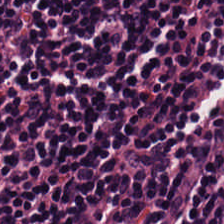Whole-slide-image patch; hematoxylin-and-eosin stained section; 224×224 px patch — Showing lymphocyte aggregate.
